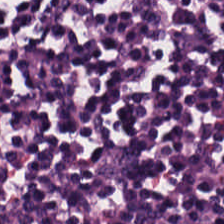The tissue class is lymphocytic infiltrate.
